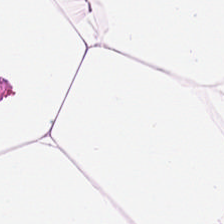224×224 pixel tile · hematoxylin-and-eosin stained section.
This patch shows adipose tissue.
